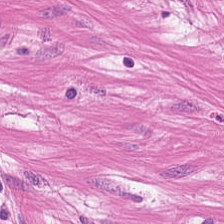H&E — Q: What type of tissue is this?
A: It is muscularis.
